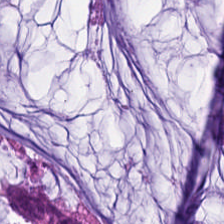Extracellular mucin.
